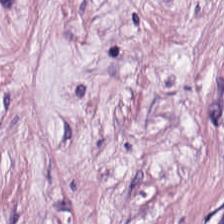This patch shows tumor stroma.
